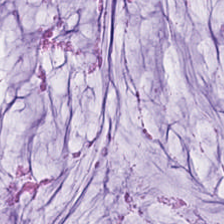The tissue is mucus.
